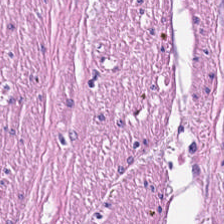H&E-stained tissue section — The tissue here is smooth muscle.
